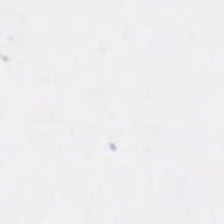Hematoxylin and eosin — The classification is empty background.
